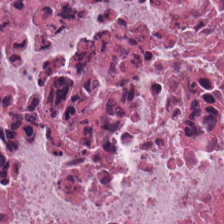Brightfield microscopy. Hematoxylin and eosin. FFPE tissue section — The tissue type is debris.
